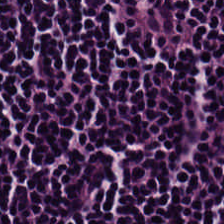WSI patch. Hematoxylin-and-eosin stained section.
Tissue type = lymphocytic infiltrate.
